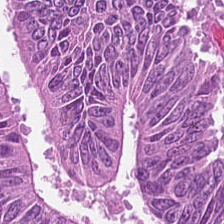Hematoxylin-and-eosin stained section. This patch shows adenocarcinoma.
